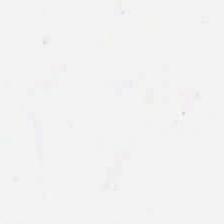Stain: H&E-stained tissue section.
Tile size: 224×224 pixel tile.
Content: empty background.
